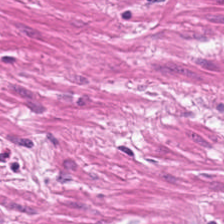224×224 px tile; H&E stain; whole-slide-image patch. Q: What is the predominant tissue type?
A: Muscularis.
